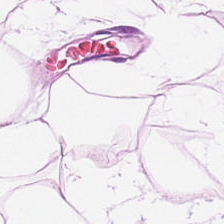H&E-stained tissue section. FFPE. Brightfield microscopy.
Q: What type of tissue is this?
A: This is adipose tissue.
